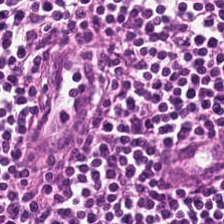H&E stain; WSI patch. This field is lymphocytic infiltrate.
